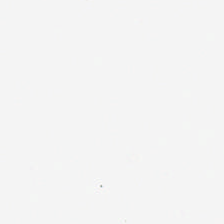Hematoxylin and eosin.
Content: no tissue.
